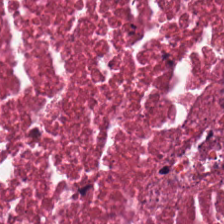Whole-slide-image patch; H&E-stained tissue section; 0.5 µm per pixel.
Impression — necrotic debris.
